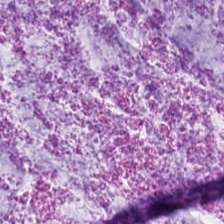H&E.
Mucin.
